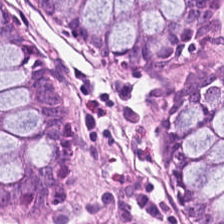H&E-stained tissue section — Predominantly normal colon mucosa.
